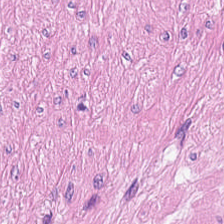H&E stain — Q: What type of tissue is this?
A: Smooth-muscle tissue.
